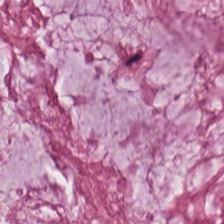Stain: hematoxylin-and-eosin stained section.
Classification: mucus.
